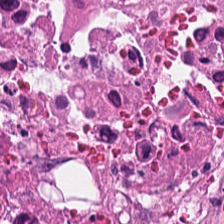Hematoxylin-and-eosin stained section · whole-slide-image patch — Q: What tissue is shown?
A: It is cellular debris.
